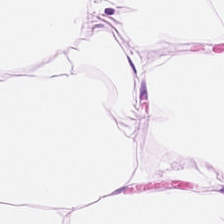Whole-slide-image patch. H&E — Showing fat tissue.
